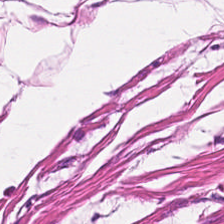Hematoxylin and eosin · formalin-fixed paraffin-embedded section · brightfield — Impression — muscularis.
